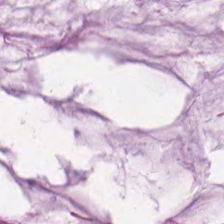H&E patch showing extracellular mucin.
